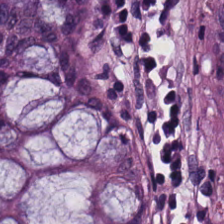Hematoxylin and eosin.
This patch shows normal colon mucosa.
